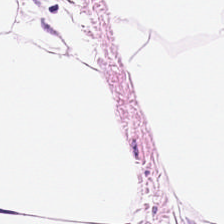H&E stain · 20× equivalent magnification.
Adipocytes.
